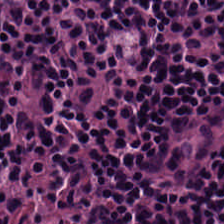Formalin-fixed paraffin-embedded section; H&E-stained tissue section; whole-slide-image patch. Finding — lymphoid infiltrate.
